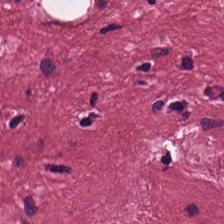H&E · whole-slide-image patch · formalin-fixed paraffin-embedded section. This field is cancer-associated stroma.
